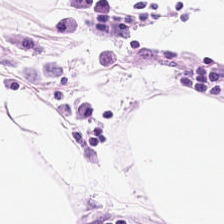H&E-stained tissue section; FFPE tissue section — Predominant tissue — fat tissue.
